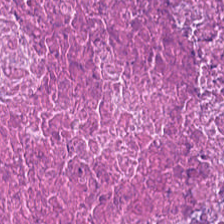Hematoxylin-and-eosin stained section.
Histology — cellular debris.
